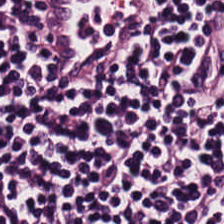0.5 µm per pixel. Brightfield. H&E-stained tissue section — Predominant tissue: lymphocyte aggregate.
